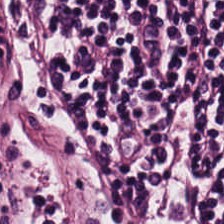FFPE tissue section. H&E-stained tissue section. 224×224 px patch.
Q: What is the predominant tissue type?
A: The field shows lymphocytic infiltrate.
